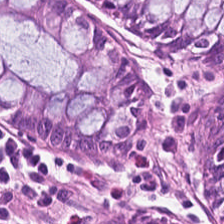H&E stain — Histology → benign colonic mucosa.
